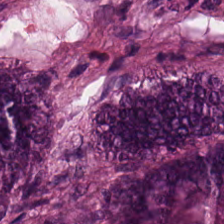Stain: hematoxylin and eosin.
Predominant tissue: malignant epithelium.
